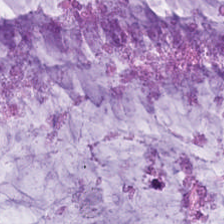H&E-stained tissue section · FFPE tissue section.
The tissue here is mucus.
